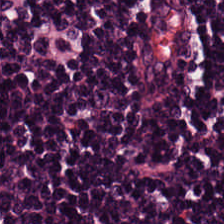H&E-stained tissue section. 224×224 pixel tile — Tissue: lymphoid infiltrate.
